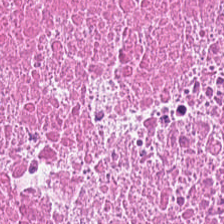H&E-stained tissue section; 0.5 µm per pixel; FFPE. Q: What type of tissue is this?
A: This is debris.
